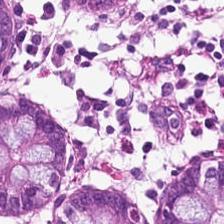H&E.
The tissue here is benign colonic mucosa.
